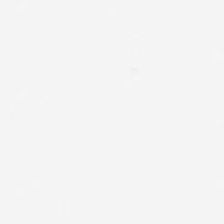H&E-stained tissue section. Classification = empty background.
